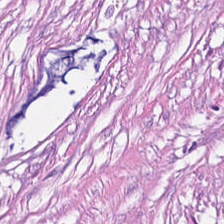Impression → tumor-associated stroma.
